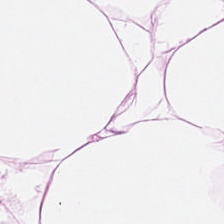Finding — adipose.
